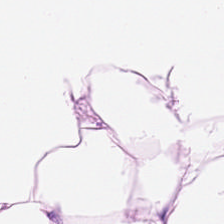224×224 pixel tile. H&E stain. FFPE — Q: What is shown here?
A: This is adipocytes.
